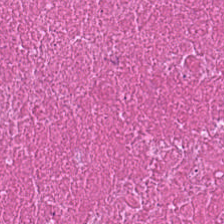H&E stain. This patch shows debris.
